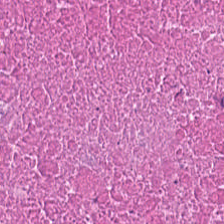{"tissue_type": "cellular debris"}
